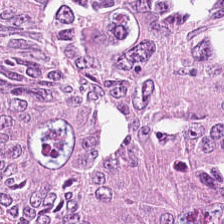Q: What tissue type is shown here?
A: Adenocarcinoma.
